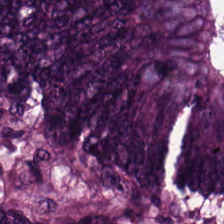FFPE tissue section. 0.5 µm per pixel. H&E-stained tissue section.
Finding → malignant epithelium.
